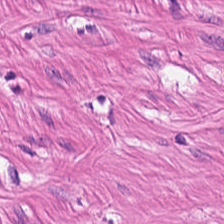Impression → smooth muscle.
